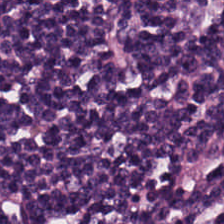H&E stain. The tissue here is lymphoid infiltrate.
